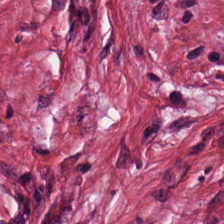H&E.
Q: Identify the tissue.
A: The field shows tumor-associated stroma.
